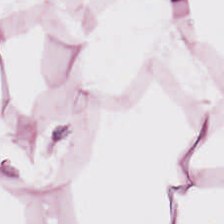H&E — The tissue is adipose.
